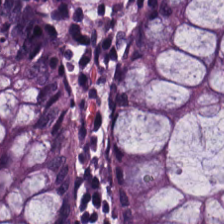WSI patch · H&E-stained tissue section.
{"tissue_type": "benign colonic mucosa"}
